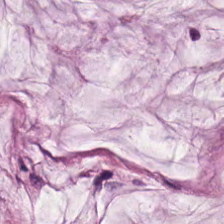Hematoxylin-and-eosin stained section.
Q: What tissue type is shown here?
A: Mucus.
